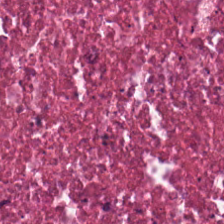H&E; 0.5 µm per pixel; formalin-fixed paraffin-embedded section.
Tissue type = necrotic debris.
